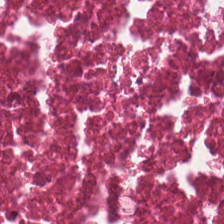0.5 µm per pixel · hematoxylin and eosin — {"tissue_type": "cellular debris"}
